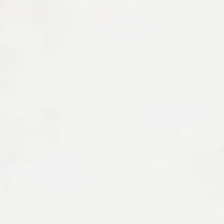H&E — Classification: empty background.
